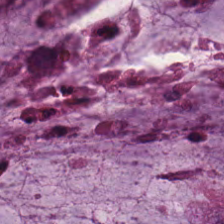H&E-stained section; the field shows mucus.
